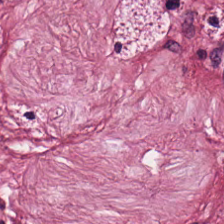H&E-stained section; the field shows tumor stroma.
